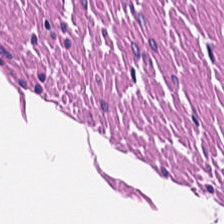Stain: hematoxylin-and-eosin stained section.
Resolution: 20× equivalent magnification.
Tissue type: smooth-muscle tissue.
